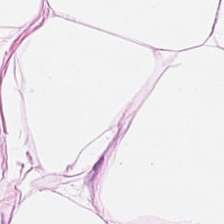Hematoxylin-and-eosin stained section. 224×224 px tile. 0.5 µm per pixel. The tissue here is adipocytes.
